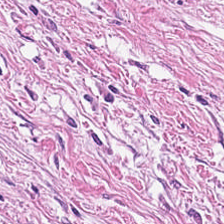H&E-stained tissue section — The tissue here is cancer-associated stroma.
